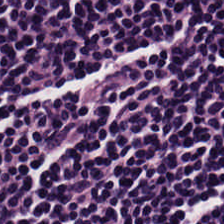FFPE. H&E-stained tissue section. WSI patch. Showing lymphocytic infiltrate.
